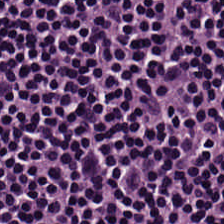Stain: H&E stain.
Resolution: 0.5 microns per pixel.
Classification: lymphocytes.
